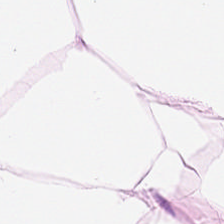H&E-stained section; the field shows fat tissue.
